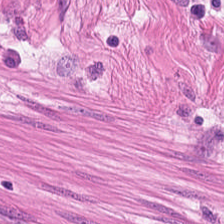Stain: H&E.
Tissue type: smooth muscle.
